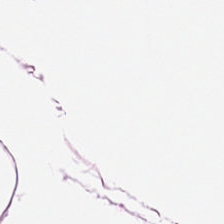H&E — {"tissue_type": "fat tissue"}
